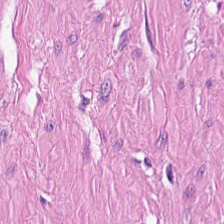H&E-stained tissue section.
Smooth-muscle tissue.
